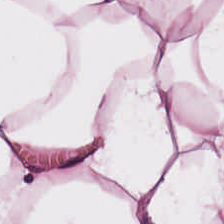Hematoxylin-and-eosin stained section. Predominantly fat tissue.
